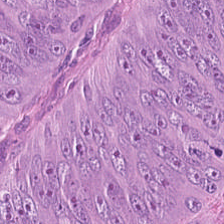H&E-stained tissue section.
Q: What type of tissue is this?
A: This is malignant epithelium.
